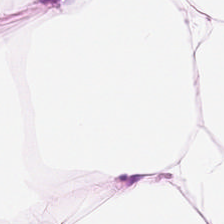H&E — Q: What tissue type is shown here?
A: It is adipose.
